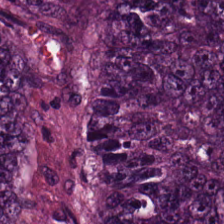H&E-stained tissue section. The predominant tissue is tumor epithelium.
